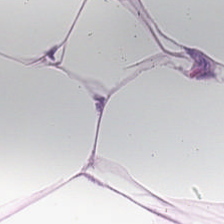H&E-stained tissue section.
Q: What does this patch show?
A: It is adipose tissue.
